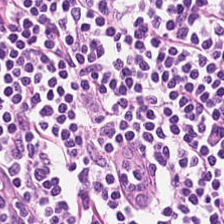H&E stain.
Tissue type — lymphocyte aggregate.
